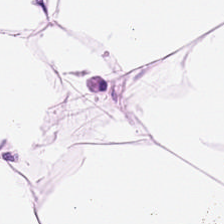Formalin-fixed paraffin-embedded section · H&E-stained tissue section · brightfield microscopy.
Tissue class — adipocytes.
